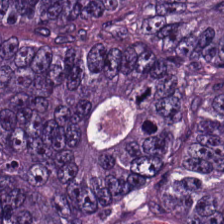Hematoxylin and eosin. WSI patch — Tissue — colorectal adenocarcinoma epithelium.
